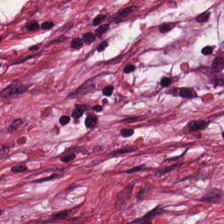FFPE. H&E-stained tissue section.
Tissue class = desmoplastic stroma.
